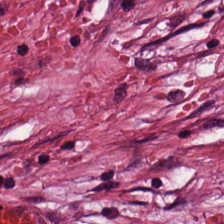H&E · 224×224 px patch. Finding — tumor-associated stroma.
